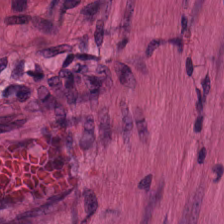H&E-stained tissue section.
Predominantly smooth-muscle tissue.
